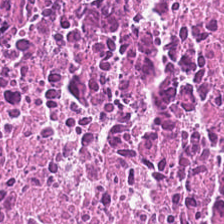Stain: H&E-stained tissue section.
Classification: necrotic debris.
